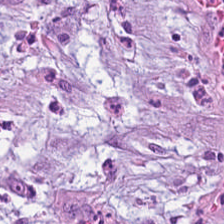WSI patch; H&E — Histology → cancer-associated stroma.
